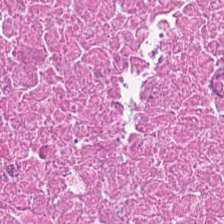Q: What type of tissue is this?
A: Debris.
